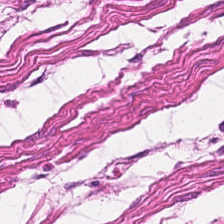H&E. 0.5 µm/px. Showing smooth-muscle tissue.
